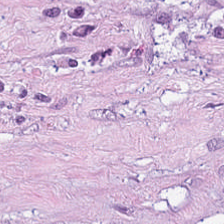20× equivalent magnification; H&E stain.
This patch shows tumor stroma.
